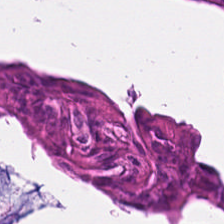H&E. Classification = adenocarcinoma.
